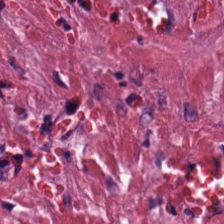0.5 µm/px; 224×224 px patch; H&E. Q: What does this patch show?
A: This is cancer-associated stroma.
